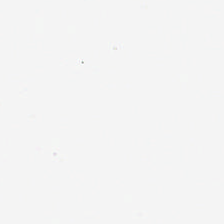Hematoxylin and eosin.
Empty field — empty background.
